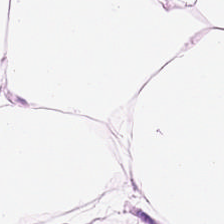H&E stain — The predominant tissue is adipose.
